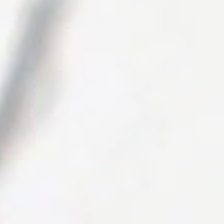Hematoxylin and eosin — The content is background (no tissue).
